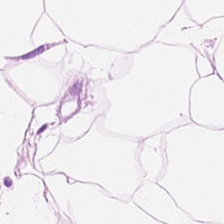Stain: H&E stain.
Tissue: adipose.
